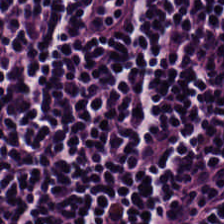Hematoxylin and eosin.
Lymphoid infiltrate.
